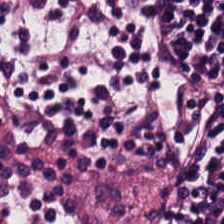Stain: hematoxylin-and-eosin stained section.
Tissue class: lymphoid infiltrate.
